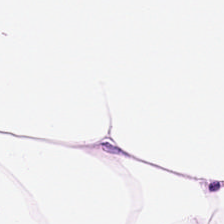Stain: hematoxylin-and-eosin stained section.
Classification: adipose tissue.
